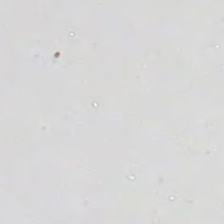H&E; 224×224 px tile; whole-slide-image patch — The field content is background (no tissue).
